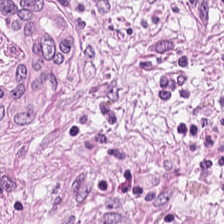Stain: H&E-stained tissue section.
Predominant tissue: cancer-associated stroma.
